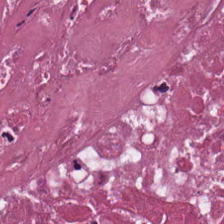Q: What tissue is shown?
A: This is cellular debris.
